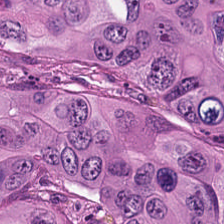Hematoxylin and eosin.
Finding — tumor epithelium.
